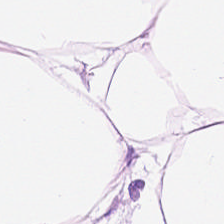H&E.
Impression — adipose.
